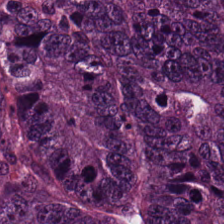H&E-stained tissue section.
Q: What is the predominant tissue type?
A: The field shows colorectal adenocarcinoma epithelium.
